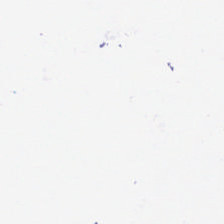Hematoxylin and eosin; 224×224 px patch.
Background.
